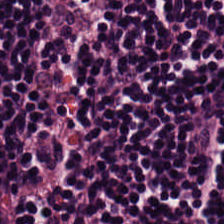0.5 microns per pixel · 224×224 px patch · H&E stain — Tissue = lymphocyte aggregate.
